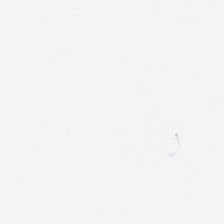{"content": "no tissue"}
